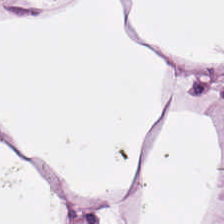Hematoxylin-and-eosin stained section.
The predominant tissue is adipocytes.
